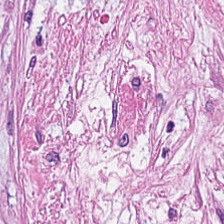Q: What is shown here?
A: Tumor stroma.
